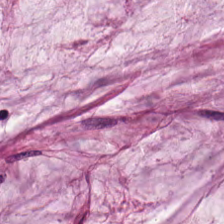Hematoxylin-and-eosin stained section — Q: Classify this patch.
A: The field shows mucin.
